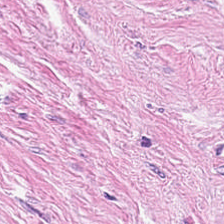Hematoxylin and eosin; FFPE tissue section — Showing cancer-associated stroma.
